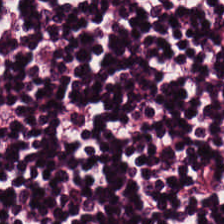H&E. Impression — lymphoid infiltrate.
